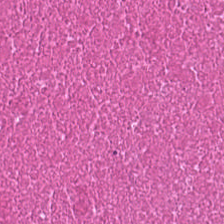H&E stain; 0.5 µm per pixel; 224×224 pixel tile — Q: What is shown here?
A: The field shows cellular debris.
